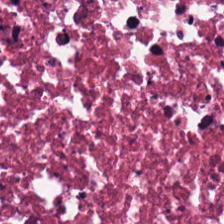20× equivalent magnification. Hematoxylin and eosin — {"tissue_type": "necrotic debris"}
